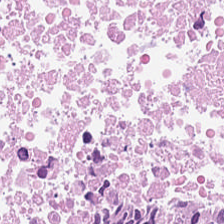H&E-stained tissue section. 0.5 µm per pixel. Necrotic debris.
